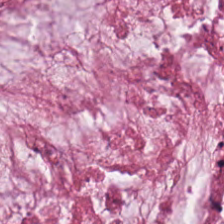Hematoxylin-and-eosin stained section.
Showing extracellular mucin.
